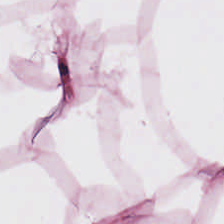H&E-stained tissue section.
Tissue type — fat tissue.
